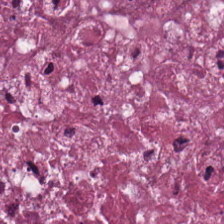Hematoxylin and eosin.
This patch shows debris.
